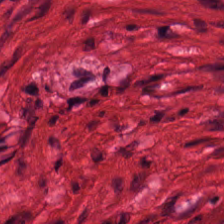Hematoxylin and eosin — Tissue class = smooth muscle.
